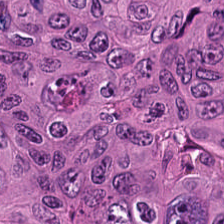H&E-stained tissue section — Q: What type of tissue is this?
A: It is malignant epithelium.
